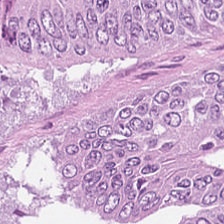FFPE tissue section · brightfield microscopy · hematoxylin and eosin. Tissue: colorectal adenocarcinoma.
